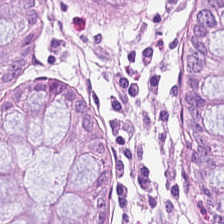224×224 pixel tile; hematoxylin and eosin; whole-slide-image patch.
Predominantly benign colonic mucosa.
